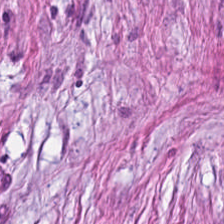Hematoxylin-and-eosin stained section · formalin-fixed paraffin-embedded section · brightfield microscopy — Cancer-associated stroma.
